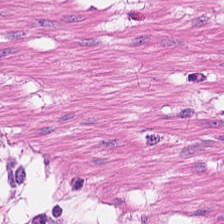H&E stain.
Predominantly smooth-muscle tissue.
